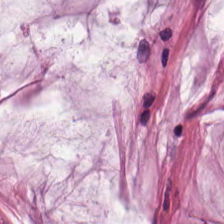Brightfield microscopy · 0.5 microns per pixel · H&E-stained tissue section. The predominant tissue is mucin.
